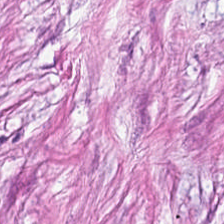H&E stain — Histology — tumor-associated stroma.
